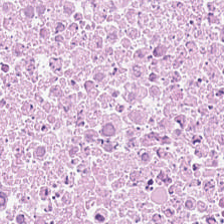Stain: H&E stain.
Tissue class: debris.
